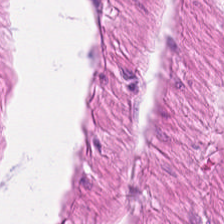Formalin-fixed paraffin-embedded section · brightfield microscopy · H&E-stained tissue section.
Showing muscularis.
